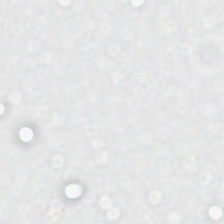Hematoxylin and eosin — Q: What is shown here?
A: It is background (no tissue).
